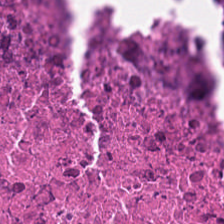Stain: H&E-stained tissue section.
Tile size: 224×224 px patch.
Predominant tissue: necrotic debris.
